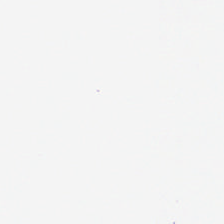This patch shows background (no tissue).
